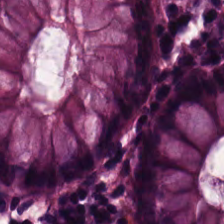Predominant tissue = non-neoplastic colon mucosa.
